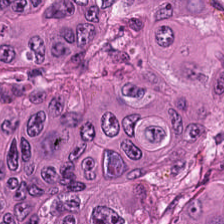Hematoxylin-and-eosin stained section.
Impression → malignant epithelium.
